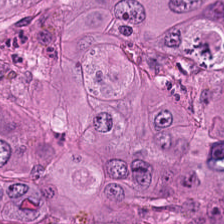FFPE; hematoxylin-and-eosin stained section. Q: What type of tissue is this?
A: It is tumor epithelium.
